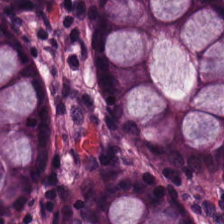H&E stain.
Q: What tissue type is shown here?
A: Benign colonic mucosa.
